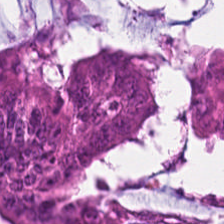Hematoxylin and eosin; formalin-fixed paraffin-embedded section — The predominant tissue is colorectal adenocarcinoma epithelium.
